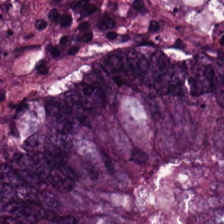Hematoxylin-and-eosin stained section — Q: What is the predominant tissue type?
A: Colorectal adenocarcinoma.
